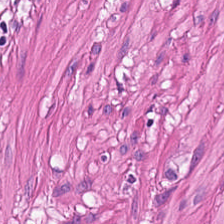0.5 µm per pixel; hematoxylin and eosin.
Q: What tissue type is shown here?
A: The field shows muscularis.
